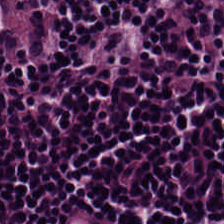H&E.
This patch shows lymphocyte aggregate.
